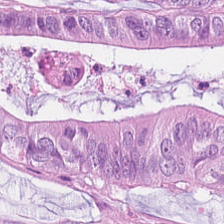H&E-stained tissue section. 0.5 µm/px. Brightfield microscopy.
Predominant tissue = malignant epithelium.
